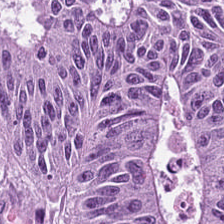Whole-slide-image patch · FFPE · H&E stain — The predominant tissue is colorectal adenocarcinoma epithelium.
